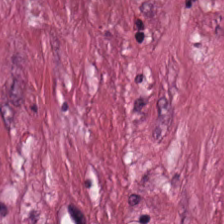Formalin-fixed paraffin-embedded section · 224×224 px patch · hematoxylin-and-eosin stained section — The tissue type is desmoplastic stroma.
